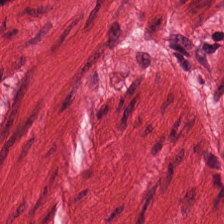FFPE; hematoxylin and eosin; brightfield — Predominantly smooth-muscle tissue.
